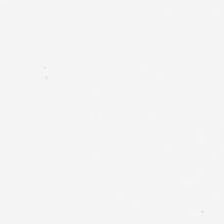Hematoxylin-and-eosin stained section. Q: What does this patch show?
A: This is empty background.
